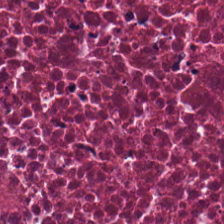H&E-stained tissue section; WSI patch. Q: Identify the tissue.
A: The field shows cellular debris.
